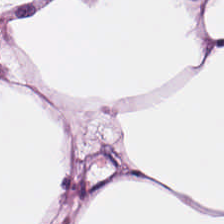Hematoxylin and eosin; FFPE tissue section; 0.5 µm/px. Q: What type of tissue is this?
A: Adipose.
